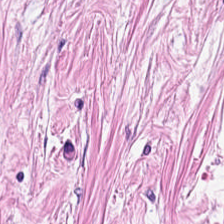H&E stain. The tissue here is cancer-associated stroma.
